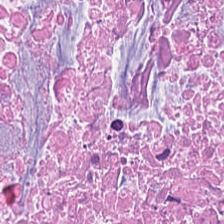H&E.
Tissue class = cellular debris.
